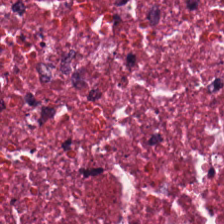Showing debris.
